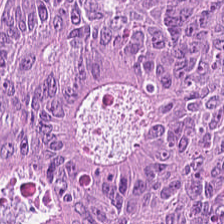Hematoxylin-and-eosin stained section · 224×224 pixel tile.
This field is colorectal adenocarcinoma.
